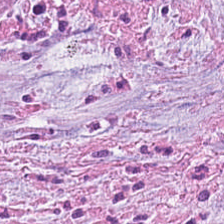FFPE tissue section. H&E-stained tissue section.
Classification: tumor stroma.
